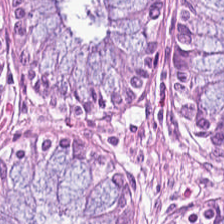224×224 px patch. FFPE tissue section. H&E — The predominant tissue is normal colonic mucosa.
